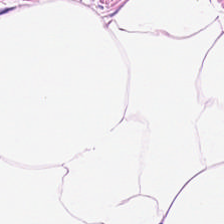Predominant tissue = adipose.
